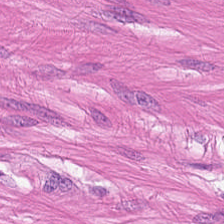Tissue: smooth-muscle tissue.
